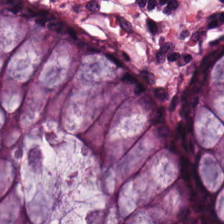H&E stain.
Histology → benign colonic mucosa.
